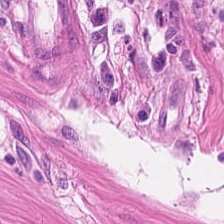0.5 µm per pixel; H&E stain — {"tissue_type": "smooth muscle"}
